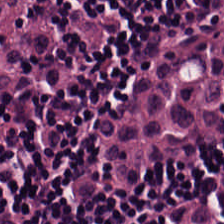Hematoxylin and eosin. The tissue here is lymphocytic infiltrate.
